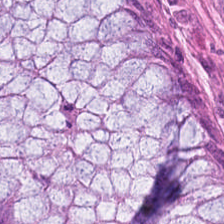Finding — non-neoplastic colon mucosa.
